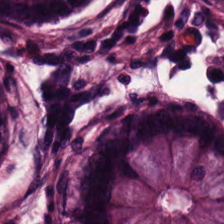Hematoxylin-and-eosin stained section · 224×224 px tile · FFPE tissue section.
This patch shows non-neoplastic colon mucosa.
